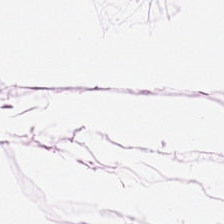H&E stain — Q: Classify this patch.
A: This is fat tissue.
